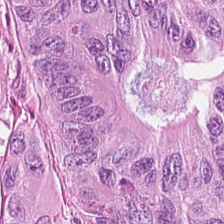Classification — tumor epithelium.
